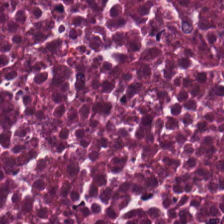Hematoxylin-and-eosin stained section.
Histology → necrotic debris.
